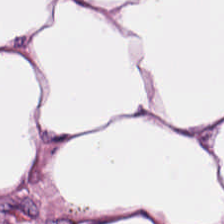H&E · FFPE tissue section. Predominant tissue: adipose.
